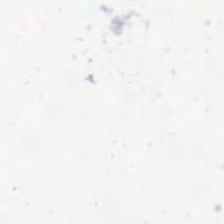H&E-stained tissue section; 224×224 px patch — Q: What is shown in this field?
A: Background.
